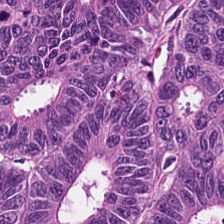Stain: hematoxylin-and-eosin stained section.
Tile size: 224×224 pixel tile.
Tissue class: tumor epithelium.
